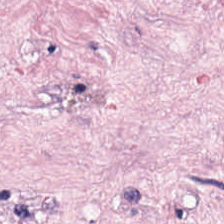0.5 µm per pixel · whole-slide-image patch · hematoxylin and eosin.
Tissue: tumor stroma.
